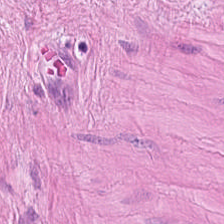Hematoxylin and eosin. 224×224 px tile. Tissue class — smooth-muscle tissue.
